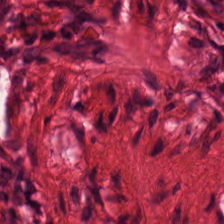H&E stain. Whole-slide-image patch. This field is smooth-muscle tissue.
